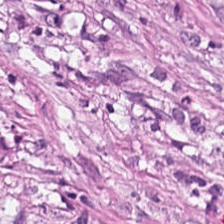H&E stain — {"tissue_type": "tumor-associated stroma"}
